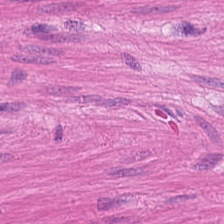{"tissue_type": "smooth-muscle tissue"}
